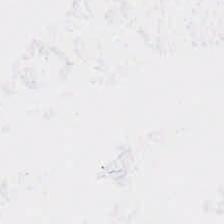Hematoxylin and eosin.
The content is background (no tissue).
